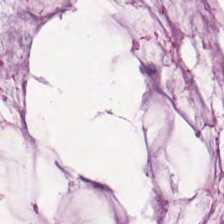Stain: H&E stain.
Resolution: 0.5 µm per pixel.
Predominant tissue: mucus.
